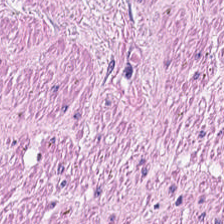Tissue type = smooth-muscle tissue.
